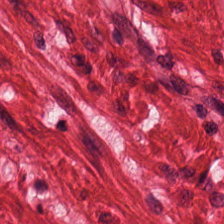Whole-slide-image patch; H&E-stained tissue section; FFPE tissue section — Q: What tissue is shown?
A: It is smooth muscle.
